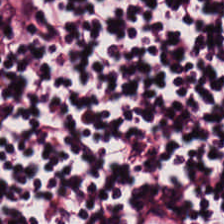The predominant tissue is lymphoid infiltrate.
